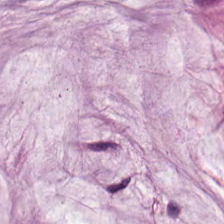FFPE tissue section; H&E-stained tissue section.
Predominantly mucus.
